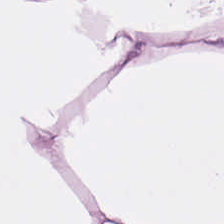H&E — Tissue class: fat tissue.
